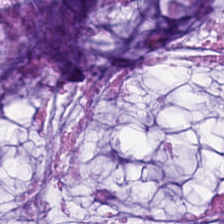H&E — extracellular mucin.
